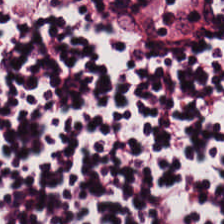Hematoxylin-and-eosin stained section; formalin-fixed paraffin-embedded section.
The tissue here is lymphocyte aggregate.
